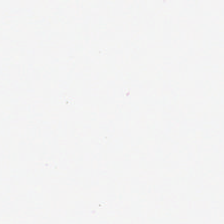H&E-stained tissue section. Content — empty background.
